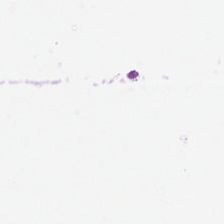{"content": "no tissue"}
